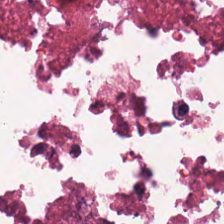Brightfield · H&E stain — This patch shows cellular debris.
